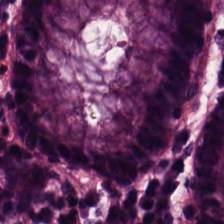Stain: H&E.
Acquisition: WSI patch.
Predominant tissue: benign colonic mucosa.
